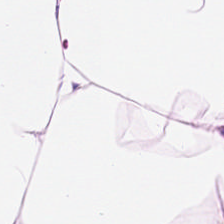Stain: hematoxylin-and-eosin stained section.
Tissue class: adipose tissue.
